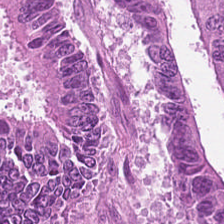H&E. Classification — tumor epithelium.
